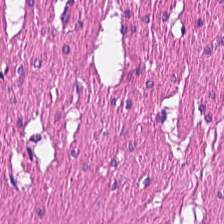Q: What tissue is shown?
A: The field shows muscularis.
